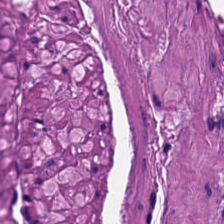0.5 µm/px. H&E.
The tissue here is muscularis.
